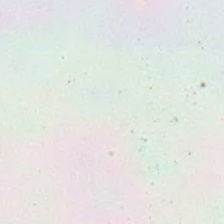FFPE; hematoxylin-and-eosin stained section.
Empty field — no tissue.
